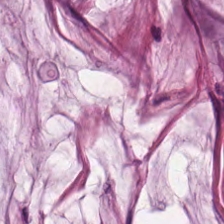H&E. Tissue class: mucin.
